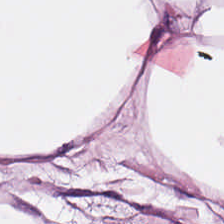H&E-stained tissue section; brightfield; 224×224 pixel tile.
Tissue class = fat tissue.
